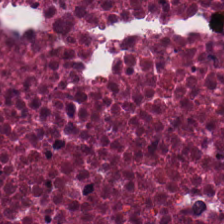FFPE · 224×224 px patch · hematoxylin and eosin. Predominant tissue — cellular debris.
